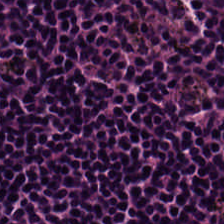Hematoxylin-and-eosin stained section; FFPE; brightfield microscopy. Classification: lymphoid infiltrate.
